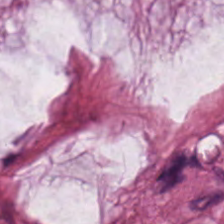H&E. Tissue class — mucus.
